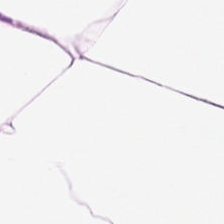This field is fat tissue.
